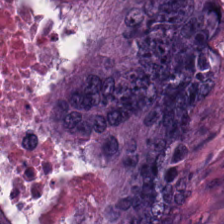H&E-stained tissue section; whole-slide-image patch; 20× equivalent magnification — Histology → adenocarcinoma.
